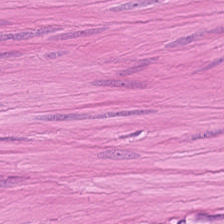Stain: H&E-stained tissue section.
Tissue class: muscularis.
